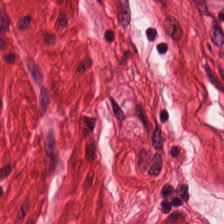WSI patch; H&E stain. Q: What is shown here?
A: It is muscularis.
